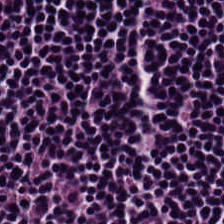H&E-stained tissue section. Showing lymphoid infiltrate.
